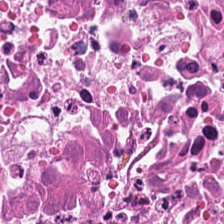H&E-stained tissue section. {"tissue_type": "debris"}
